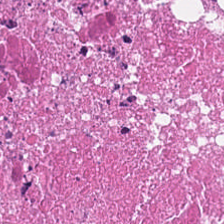H&E. Predominantly necrotic debris.
